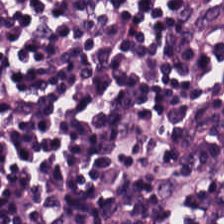Hematoxylin and eosin · 224×224 px tile.
The predominant tissue is lymphocytes.
